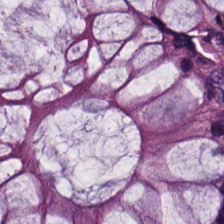Hematoxylin-and-eosin stained section — This field is non-neoplastic colon mucosa.
